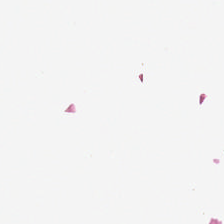Empty field — no tissue.
